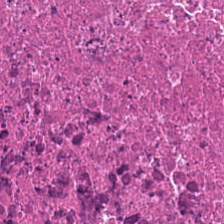H&E stain. The predominant tissue is necrotic debris.
